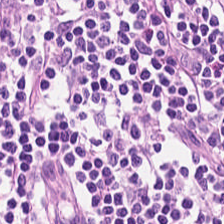The predominant tissue is lymphocytic infiltrate.
